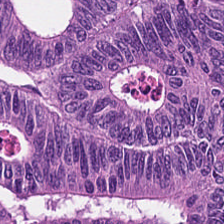Whole-slide-image patch; H&E stain. Q: What is the predominant tissue type?
A: It is colorectal adenocarcinoma epithelium.
